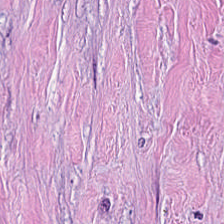224×224 px tile; hematoxylin-and-eosin stained section. Predominantly cancer-associated stroma.
